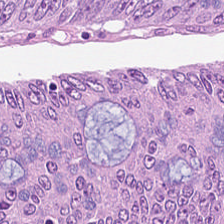H&E-stained tissue section. Q: What tissue is shown?
A: The field shows tumor epithelium.
